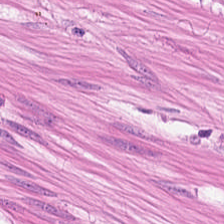Hematoxylin and eosin.
Q: What is the predominant tissue type?
A: The field shows smooth-muscle tissue.
